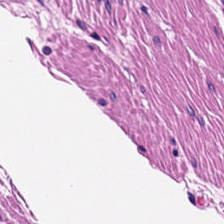Brightfield · H&E — Q: Classify this patch.
A: The field shows smooth muscle.
